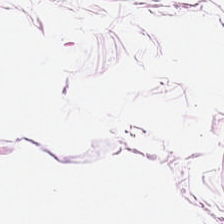H&E stain · 0.5 microns per pixel · 224×224 px patch.
This patch shows adipocytes.
